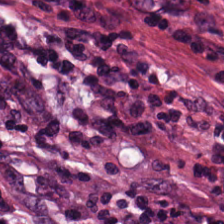Hematoxylin-and-eosin section: cancer-associated stroma.
